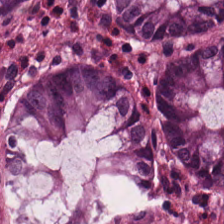H&E-stained tissue section. The tissue type is normal colon mucosa.
